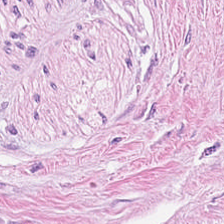The tissue type is cancer-associated stroma.
